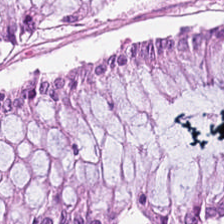Hematoxylin-and-eosin stained section.
Tissue — normal colonic mucosa.
